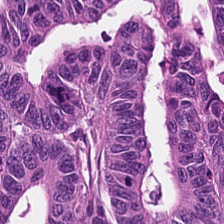224×224 px tile; hematoxylin and eosin; FFPE tissue section.
Predominantly colorectal adenocarcinoma.
